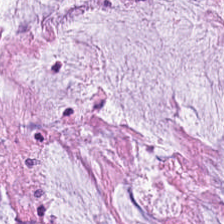224×224 px tile. Hematoxylin-and-eosin stained section.
Showing mucus.
